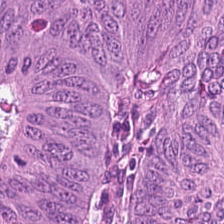H&E. Finding → malignant epithelium.
